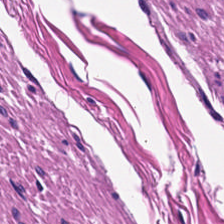H&E-stained tissue section. Histology — smooth muscle.
